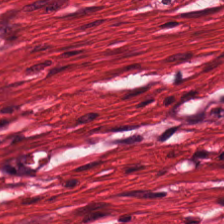Hematoxylin-and-eosin stained section. Classification = smooth-muscle tissue.
